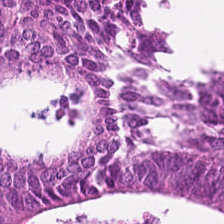H&E.
Finding → tumor epithelium.
